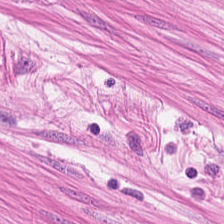H&E · FFPE tissue section · 0.5 µm per pixel. Showing smooth-muscle tissue.
